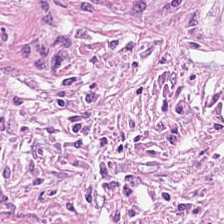H&E patch showing tumor stroma.
